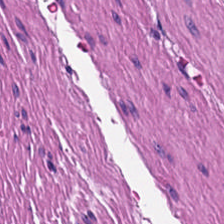Showing smooth-muscle tissue.
